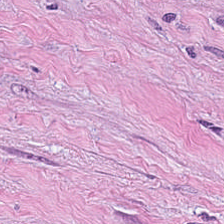Q: Identify the tissue.
A: This is tumor stroma.
